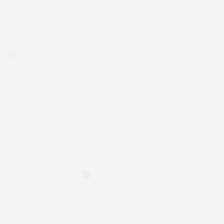0.5 microns per pixel. H&E-stained tissue section. 224×224 px patch — No tissue present; background only.
